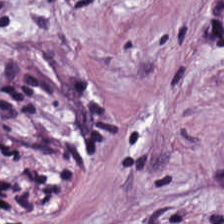Formalin-fixed paraffin-embedded section. H&E-stained tissue section. Q: What tissue type is shown here?
A: This is tumor-associated stroma.
